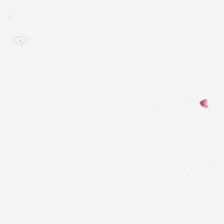Q: What is shown here?
A: Empty background.
